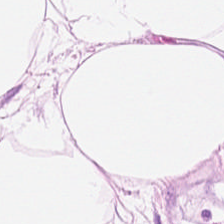H&E patch showing fat tissue.
